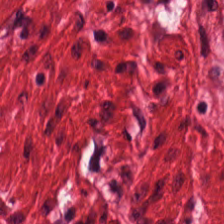0.5 microns per pixel · H&E-stained tissue section. Q: Classify this patch.
A: This is smooth muscle.
